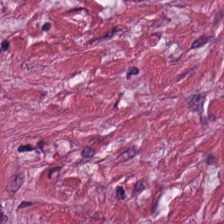224×224 px tile. H&E-stained tissue section. FFPE tissue section.
Predominant tissue — desmoplastic stroma.
